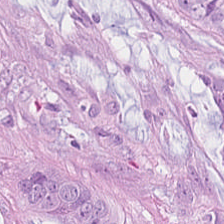Whole-slide-image patch; hematoxylin and eosin.
Q: Classify this patch.
A: The field shows colorectal adenocarcinoma epithelium.
